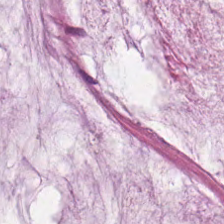FFPE tissue section · H&E.
Impression → mucus.
